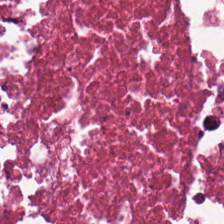Hematoxylin-and-eosin stained section. Showing necrotic debris.
